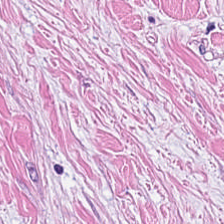Hematoxylin-and-eosin stained section — Tissue: tumor stroma.
